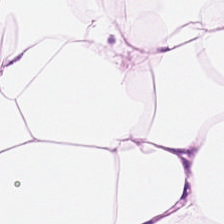Stain: H&E-stained tissue section.
Tissue: fat tissue.
